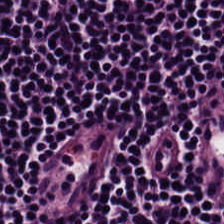Tissue class = lymphoid infiltrate.
